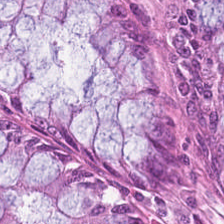20× equivalent magnification; H&E stain; FFPE tissue section — Impression — normal colonic mucosa.
